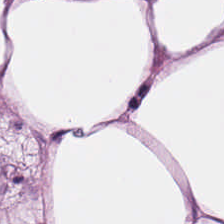H&E stain. Q: What type of tissue is this?
A: This is adipose tissue.
